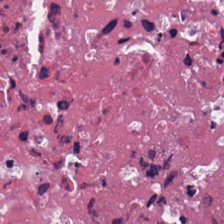H&E-stained tissue section; 0.5 µm per pixel. {"tissue_type": "cellular debris"}
